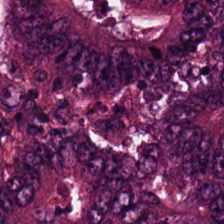H&E-stained tissue section — The predominant tissue is adenocarcinoma.
